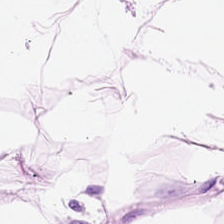H&E stain · WSI patch — Q: What tissue is shown?
A: Adipose tissue.
